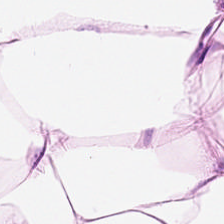Hematoxylin-and-eosin stained section.
{"tissue_type": "adipose"}
